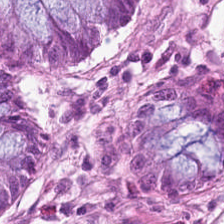Stain: H&E stain.
Acquisition: whole-slide-image patch.
Tissue type: benign colonic mucosa.
